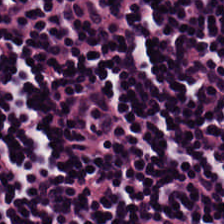Lymphocytes.
